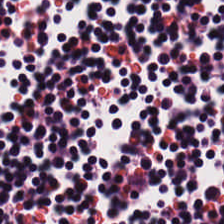Stain: H&E.
Resolution: 0.5 µm/px.
Tile size: 224×224 pixel tile.
Tissue type: lymphocytic infiltrate.
